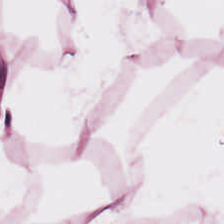This field is adipose.
